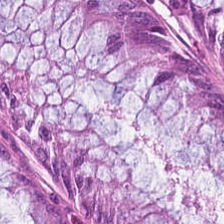H&E — Tissue class — non-neoplastic colon mucosa.
